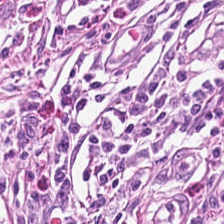Impression — tumor stroma.
